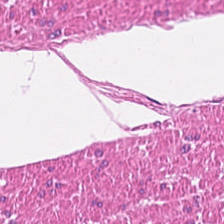Stain: hematoxylin and eosin.
Tile size: 224×224 px tile.
Preparation: FFPE.
Tissue class: muscularis.
